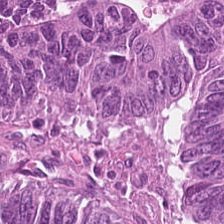0.5 µm/px. H&E stain — Showing adenocarcinoma.
